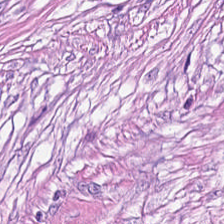224×224 px tile; hematoxylin and eosin — Showing cancer-associated stroma.
